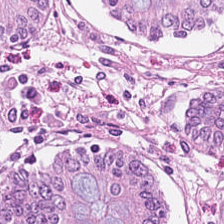Stain: hematoxylin-and-eosin stained section.
Classification: normal colonic mucosa.
